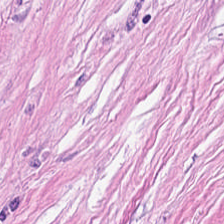224×224 pixel tile. H&E.
This field is desmoplastic stroma.
